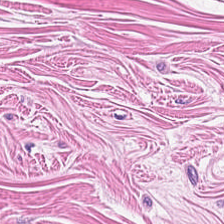Q: What tissue type is shown here?
A: Smooth muscle.
